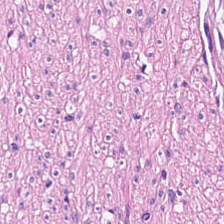H&E stain. Finding — smooth-muscle tissue.
